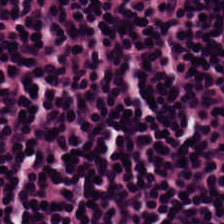Hematoxylin-and-eosin stained section; formalin-fixed paraffin-embedded section — Showing lymphoid infiltrate.
